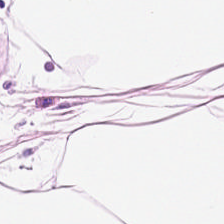0.5 µm per pixel; whole-slide-image patch; H&E — Impression — fat tissue.
